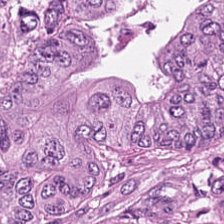H&E · brightfield.
Predominantly adenocarcinoma.
